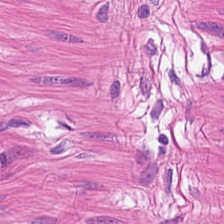Stain: hematoxylin and eosin.
Tissue class: smooth-muscle tissue.
